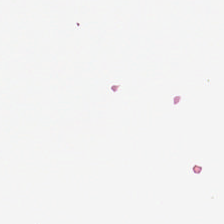Q: What does this patch show?
A: It is background (no tissue).
